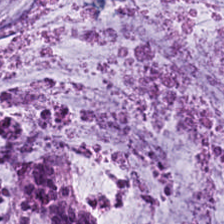H&E · 224×224 px tile.
{"tissue_type": "mucus"}
